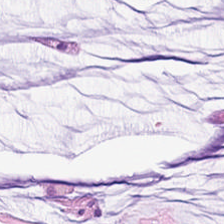224×224 px tile; FFPE tissue section; H&E — Showing mucin.
